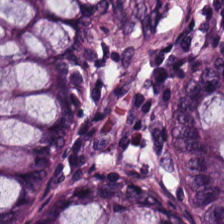Hematoxylin and eosin. Predominantly normal colonic mucosa.
